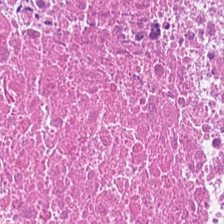Hematoxylin and eosin. 20× equivalent magnification — Q: Classify this patch.
A: It is necrotic debris.
